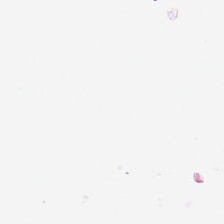H&E stain — Impression → background.
